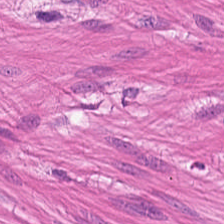FFPE tissue section; H&E stain. Predominantly muscularis.
